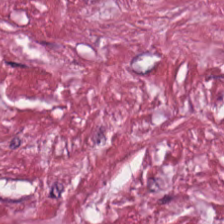H&E.
Q: Classify this patch.
A: This is tumor-associated stroma.
